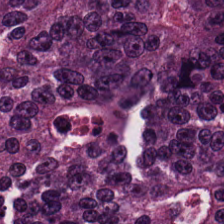This patch shows colorectal adenocarcinoma epithelium.
